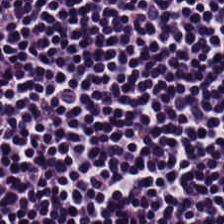H&E-stained tissue section. FFPE. 224×224 px tile — Showing lymphocytic infiltrate.
